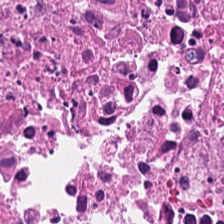H&E-stained tissue section; 0.5 microns per pixel.
Predominant tissue = necrotic debris.
